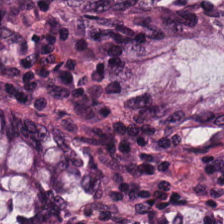H&E-stained tissue section. The predominant tissue is benign colonic mucosa.
